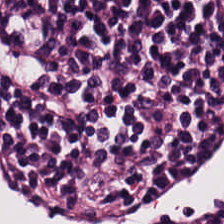Stain: H&E stain.
Tissue class: lymphocytic infiltrate.
